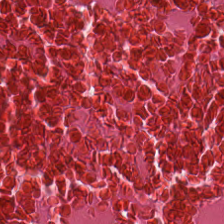H&E stain; FFPE tissue section — Predominantly cellular debris.
